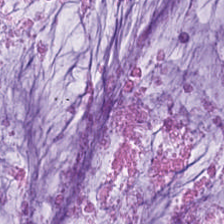The classification is mucus.
